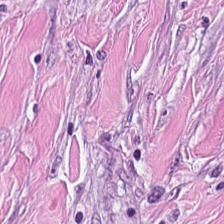H&E patch showing desmoplastic stroma.
